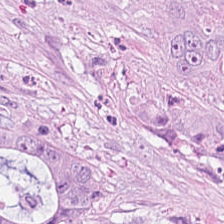H&E-stained tissue section. Showing adenocarcinoma.
